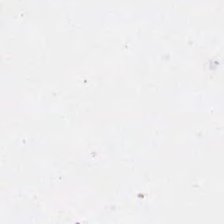Brightfield · H&E-stained tissue section.
No tissue.
